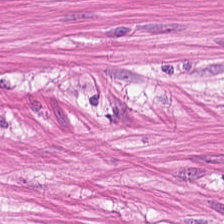Hematoxylin and eosin — Impression → smooth muscle.
